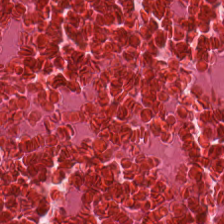Tissue type: necrotic debris.
